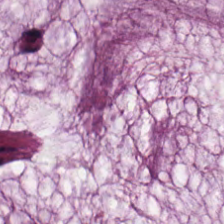Showing mucin.
